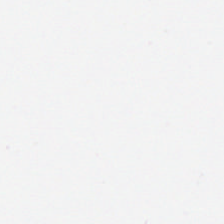H&E stain; 0.5 microns per pixel.
Background — no tissue in this field.
